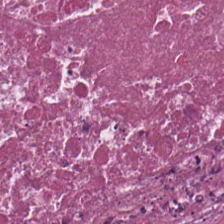H&E stain.
This field is cellular debris.
